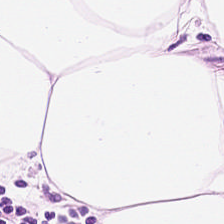224×224 px patch · hematoxylin-and-eosin stained section — Q: What type of tissue is this?
A: Adipose.
